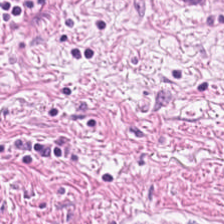224×224 px tile. H&E stain. Brightfield microscopy. Predominantly muscularis.
